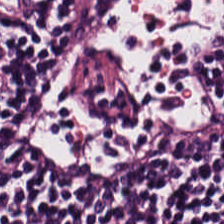Tissue: lymphocyte aggregate.
